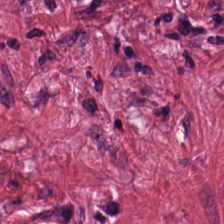Hematoxylin-and-eosin section: tumor-associated stroma.
